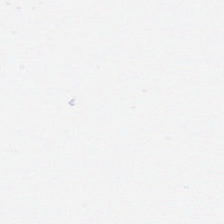Empty field — background.
